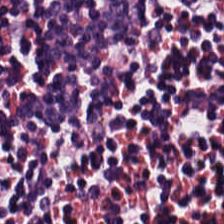The tissue type is lymphocyte aggregate.
